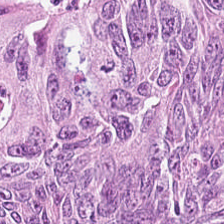Hematoxylin-and-eosin section: adenocarcinoma.
